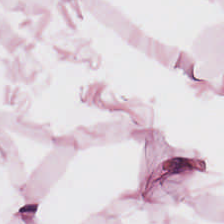Hematoxylin and eosin. Predominant tissue = fat tissue.
